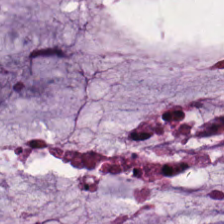H&E-stained tissue section — Showing extracellular mucin.
